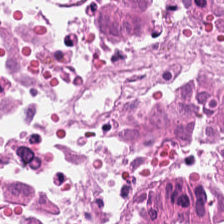Hematoxylin and eosin — {"tissue_type": "cellular debris"}
